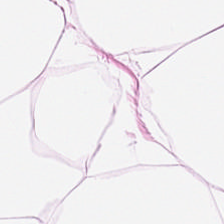H&E. Impression → adipocytes.
